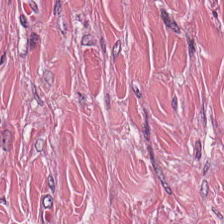H&E stain.
The predominant tissue is tumor stroma.
